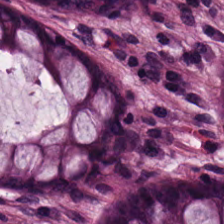H&E-stained tissue section — The tissue here is normal colonic mucosa.
